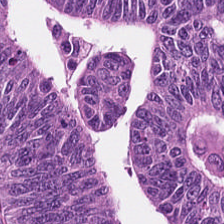Tissue class — adenocarcinoma.
